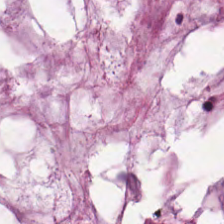Stain: hematoxylin and eosin.
Tile size: 224×224 px tile.
Tissue class: extracellular mucin.
